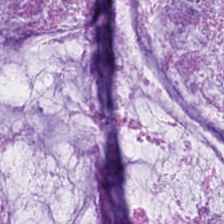Brightfield. H&E. The predominant tissue is mucin.
